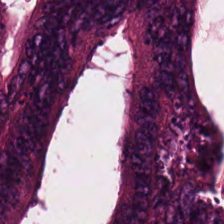Predominant tissue = adenocarcinoma.
